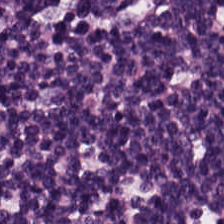Hematoxylin and eosin. This patch shows lymphocytes.
